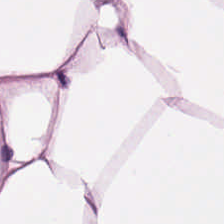Predominantly adipose tissue.
